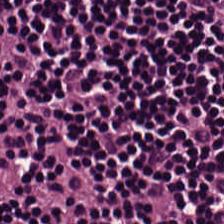Hematoxylin-and-eosin stained section. Impression → lymphocyte aggregate.
